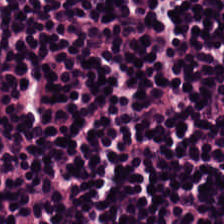224×224 px tile; H&E stain.
Q: What tissue is shown?
A: This is lymphocyte aggregate.
